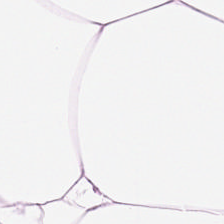224×224 pixel tile. FFPE tissue section. H&E stain. The tissue class is adipose tissue.
